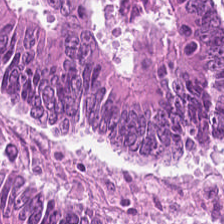The tissue class is adenocarcinoma.
